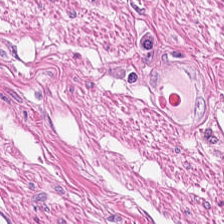Hematoxylin-and-eosin stained section. The tissue here is muscularis.
